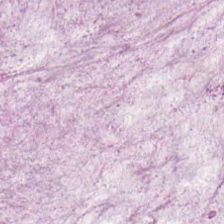Stain: H&E.
Tissue type: extracellular mucin.
